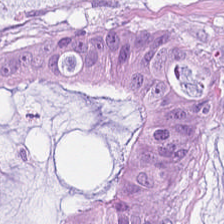H&E stain.
The classification is mucus.
